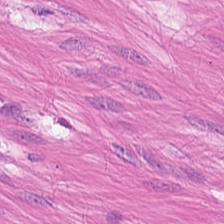H&E-stained section; the field shows smooth-muscle tissue.
